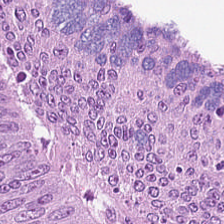Brightfield microscopy. H&E. Formalin-fixed paraffin-embedded section — Tissue class — tumor epithelium.
